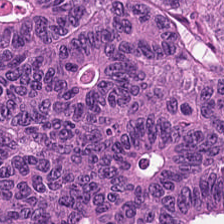224×224 pixel tile; H&E-stained tissue section.
This field is colorectal adenocarcinoma.
